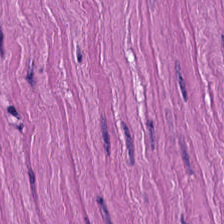Stain: H&E.
Tissue class: smooth muscle.
